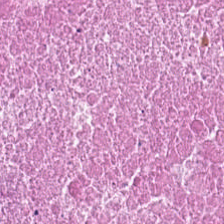H&E-stained tissue section. Q: Classify this patch.
A: The field shows cellular debris.
